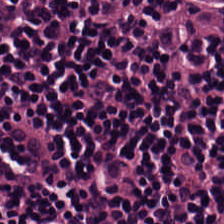H&E-stained section; the field shows lymphocyte aggregate.
